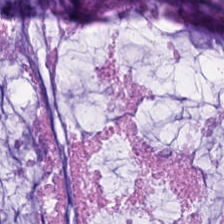FFPE tissue section; H&E-stained tissue section — Q: What does this patch show?
A: Mucus.
